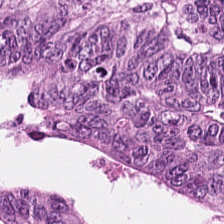H&E stain · brightfield microscopy. The tissue type is malignant epithelium.
